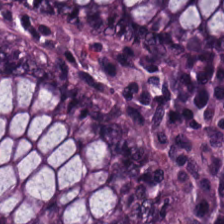The tissue here is normal colonic mucosa.
